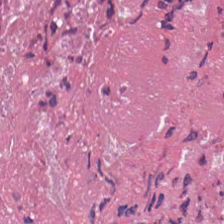{"tissue_type": "debris"}
